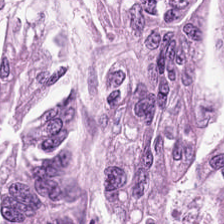H&E stain.
Tissue class: tumor epithelium.
